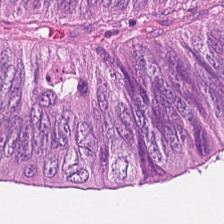Hematoxylin-and-eosin section: adenocarcinoma.
